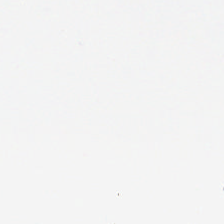Background (no tissue).
